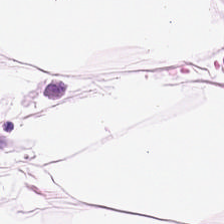224×224 px patch; 0.5 µm/px; H&E.
The tissue here is adipose.
